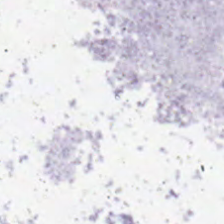Formalin-fixed paraffin-embedded section · hematoxylin-and-eosin stained section.
Q: What does this patch show?
A: The field shows no tissue.
